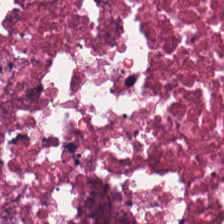H&E stain — The tissue here is necrotic debris.
